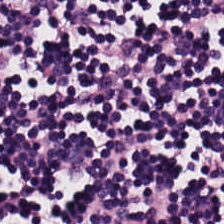H&E-stained tissue section.
Q: What tissue type is shown here?
A: The field shows lymphocyte aggregate.
